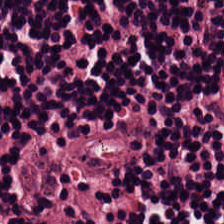Hematoxylin and eosin · brightfield · FFPE tissue section.
Showing lymphocyte aggregate.
